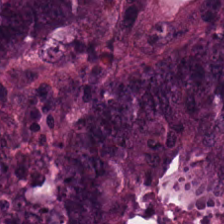Hematoxylin and eosin · whole-slide-image patch · 0.5 µm/px. Q: What does this patch show?
A: It is adenocarcinoma.
